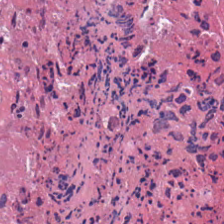Tissue class: necrotic debris.
